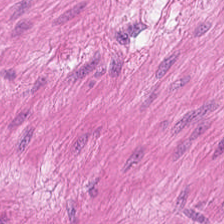Brightfield microscopy. H&E stain. 0.5 microns per pixel — Impression — smooth muscle.
